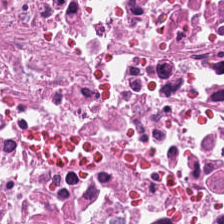Hematoxylin-and-eosin stained section.
Finding — debris.
